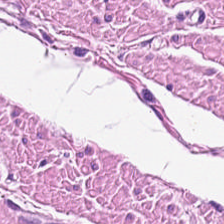Hematoxylin and eosin; 20× equivalent magnification.
Q: What tissue type is shown here?
A: Smooth-muscle tissue.
